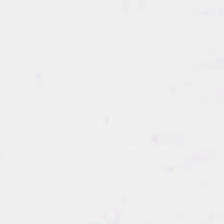H&E.
Q: What is shown here?
A: It is background (no tissue).
